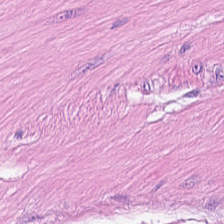Hematoxylin-and-eosin stained section.
Q: What does this patch show?
A: This is smooth-muscle tissue.
